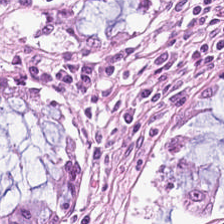Hematoxylin-and-eosin stained section. WSI patch — {"tissue_type": "normal colon mucosa"}
